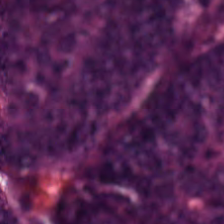Stain: hematoxylin-and-eosin stained section.
Resolution: 20× equivalent magnification.
Predominant tissue: adenocarcinoma.
